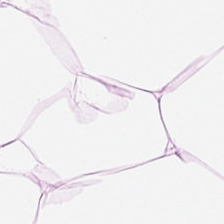H&E-stained tissue section. 224×224 px tile. 0.5 µm/px — This patch shows adipose.
